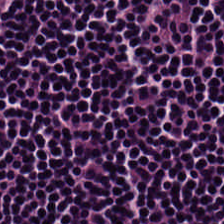H&E-stained tissue section.
Predominant tissue — lymphocytes.
